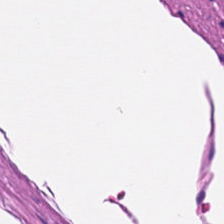Hematoxylin and eosin — Histology — muscularis.
